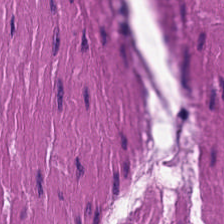H&E. Tissue class = smooth-muscle tissue.
